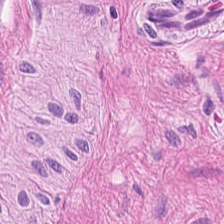FFPE tissue section · H&E.
Classification — muscularis.
